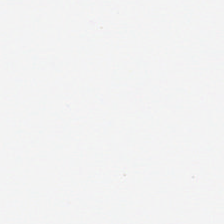Stain: hematoxylin-and-eosin stained section.
Field content: background (no tissue).
